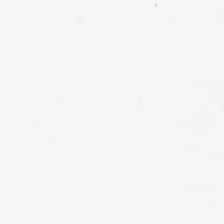Hematoxylin-and-eosin stained section · formalin-fixed paraffin-embedded section. Finding — no tissue.
